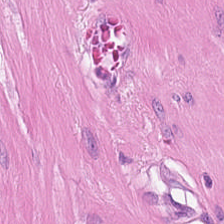Hematoxylin and eosin. Q: What does this patch show?
A: Smooth-muscle tissue.
